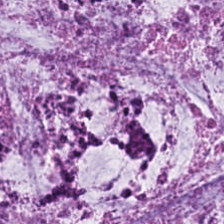H&E; FFPE tissue section — Showing extracellular mucin.
